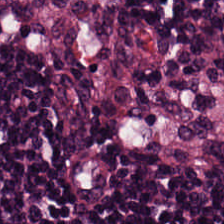Q: What does this patch show?
A: The field shows lymphocytes.
